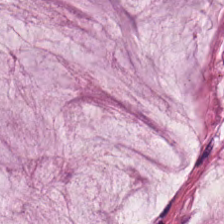Hematoxylin and eosin.
Tissue class: mucus.
